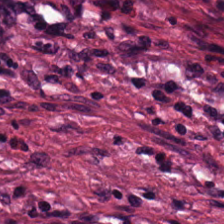H&E-stained section; the field shows cancer-associated stroma.
